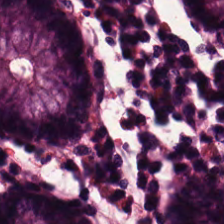Stain: H&E.
Classification: benign colonic mucosa.
